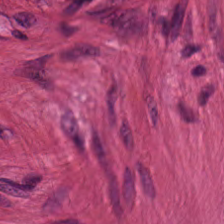Histology — muscularis.
